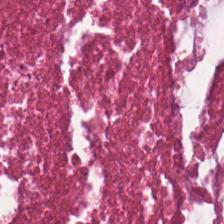Hematoxylin-and-eosin stained section — Classification = debris.
